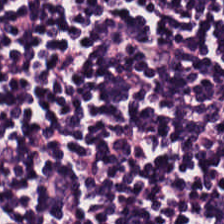H&E-stained tissue section. Finding → lymphocytes.
